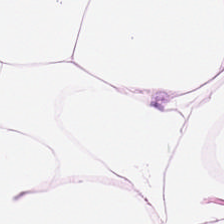20× equivalent magnification. Hematoxylin-and-eosin stained section. Q: What is shown in this field?
A: Fat tissue.
